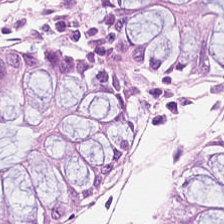Stain: hematoxylin and eosin.
Predominant tissue: normal colon mucosa.
